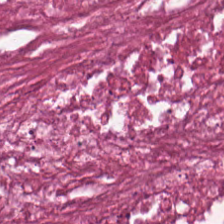Hematoxylin and eosin.
Q: Identify the tissue.
A: This is cellular debris.
